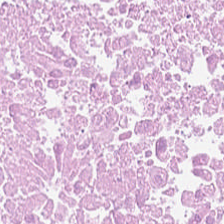Stain: H&E-stained tissue section.
Classification: cellular debris.
